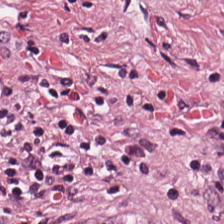Q: Identify the tissue.
A: It is tumor stroma.
